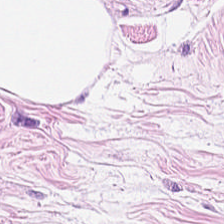224×224 pixel tile. H&E-stained tissue section — This field is fat tissue.
